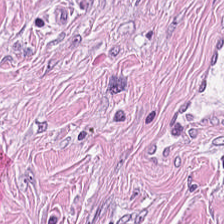224×224 px patch; hematoxylin-and-eosin stained section — Tissue = tumor-associated stroma.
